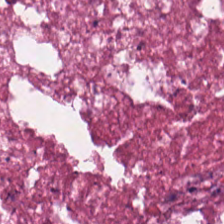Formalin-fixed paraffin-embedded section · H&E stain.
The predominant tissue is necrotic debris.
